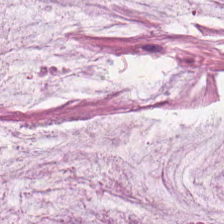{"tissue_type": "mucus"}
